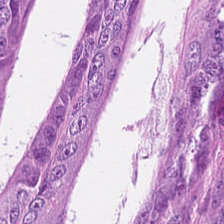H&E. 224×224 pixel tile.
Predominantly colorectal adenocarcinoma.
